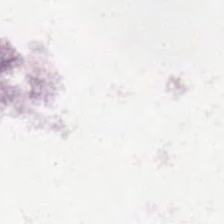H&E. Field content — empty background.
